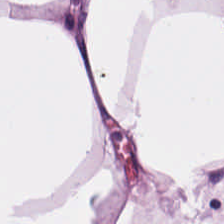Hematoxylin and eosin; FFPE tissue section.
Predominantly adipose tissue.
